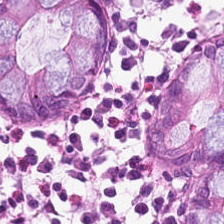224×224 px patch; hematoxylin and eosin — Q: What tissue type is shown here?
A: This is normal colon mucosa.
